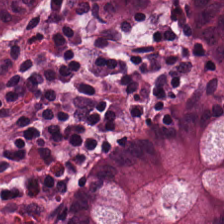Tissue — normal colon mucosa.
